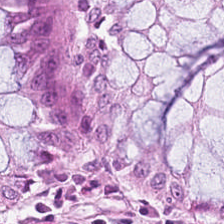Stain: H&E-stained tissue section.
Resolution: 0.5 µm per pixel.
Tissue type: benign colonic mucosa.
